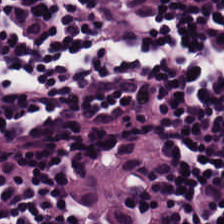Stain: H&E-stained tissue section.
Acquisition: whole-slide-image patch.
Tissue class: lymphoid infiltrate.
